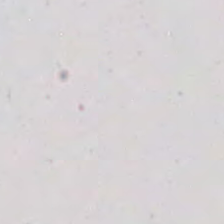Stain: H&E-stained tissue section.
Tile size: 224×224 px patch.
Preparation: formalin-fixed paraffin-embedded section.
Classification: background.
